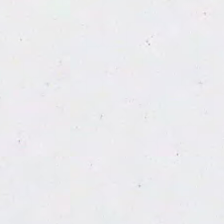Hematoxylin-and-eosin stained section. FFPE — Background.
